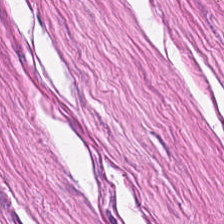0.5 microns per pixel · H&E · FFPE. Q: What type of tissue is this?
A: It is smooth muscle.
